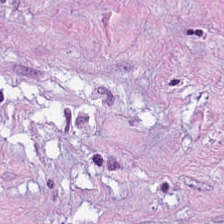{"tissue_type": "tumor stroma"}
